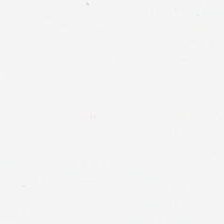Brightfield microscopy. 0.5 µm per pixel. Hematoxylin and eosin.
Empty field — empty background.
